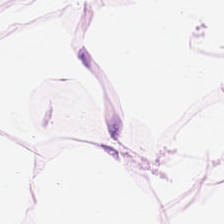This patch shows adipocytes.
